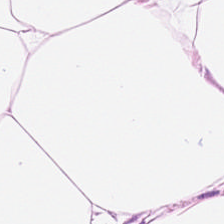This field is adipose tissue.
